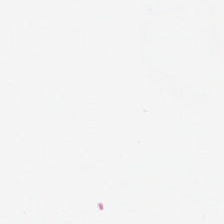H&E stain — Classification = background (no tissue).
